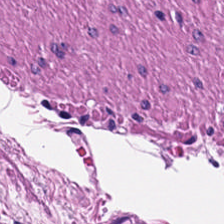Hematoxylin-and-eosin stained section — Showing smooth-muscle tissue.
